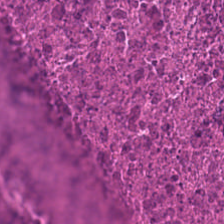H&E stain.
Q: What type of tissue is this?
A: The field shows cellular debris.
